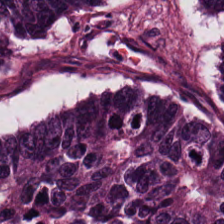Hematoxylin-and-eosin stained section · FFPE tissue section. Tissue type: adenocarcinoma.
